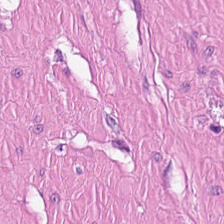H&E — Showing smooth-muscle tissue.
